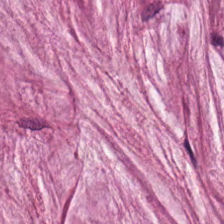Mucin.
